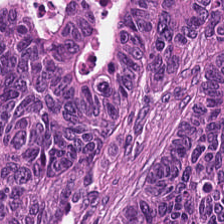0.5 µm per pixel · brightfield microscopy · H&E-stained tissue section — Showing adenocarcinoma.
